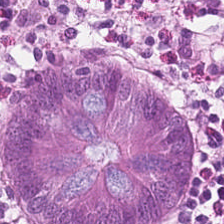The tissue type is benign colonic mucosa.
